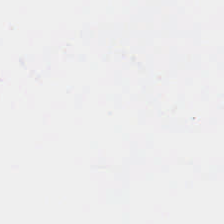No tissue present; background only.
